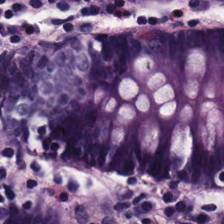H&E-stained tissue section. Showing normal colonic mucosa.
